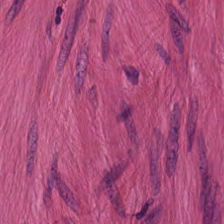H&E patch showing smooth-muscle tissue.
